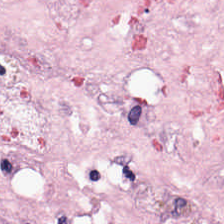H&E-stained tissue section.
Finding — tumor stroma.
